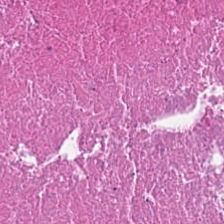H&E stain. 224×224 px tile.
Impression — cellular debris.
